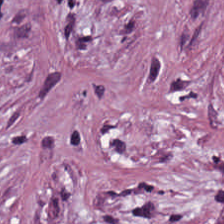Whole-slide-image patch. FFPE. H&E. The tissue here is tumor stroma.
